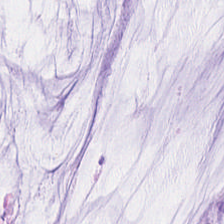Hematoxylin and eosin; FFPE tissue section — Tissue = mucin.
